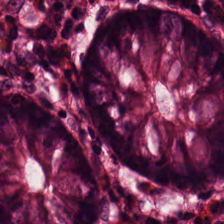Classification = non-neoplastic colon mucosa.
